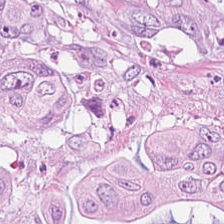Brightfield microscopy; hematoxylin-and-eosin stained section.
Q: What is shown here?
A: The field shows malignant epithelium.
